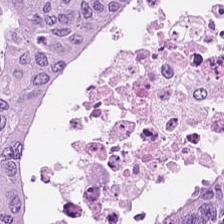Stain: hematoxylin-and-eosin stained section.
Tissue class: colorectal adenocarcinoma.
